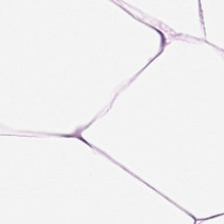Hematoxylin and eosin — {"tissue_type": "adipose"}
